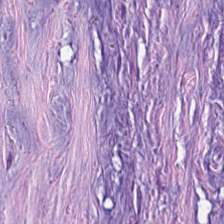FFPE tissue section. H&E-stained tissue section — Tissue type = tumor-associated stroma.
